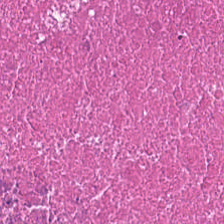H&E stain · 224×224 px patch · 0.5 µm/px — The tissue here is cellular debris.
